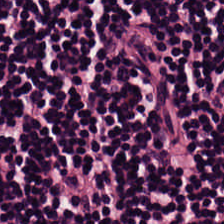Tissue = lymphoid infiltrate.
